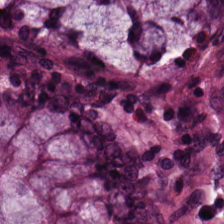Classification: normal colon mucosa.
